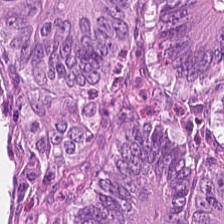Hematoxylin-and-eosin stained section; formalin-fixed paraffin-embedded section. Tissue type = colorectal adenocarcinoma.
